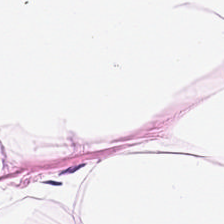Histology → adipose tissue.
